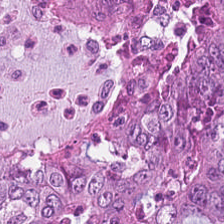Formalin-fixed paraffin-embedded section. H&E stain.
Showing colorectal adenocarcinoma epithelium.
